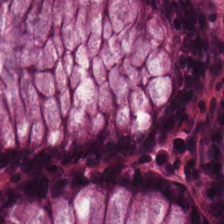H&E stain.
{"tissue_type": "normal colonic mucosa"}
